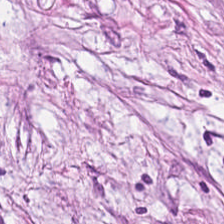This patch shows tumor stroma.
